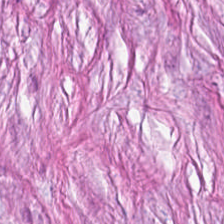0.5 microns per pixel; 224×224 px tile; H&E stain. Tissue class = cancer-associated stroma.
